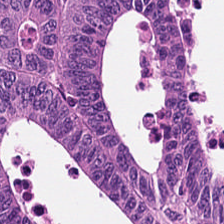Hematoxylin and eosin.
{"tissue_type": "colorectal adenocarcinoma"}
